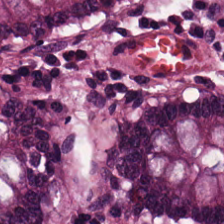Formalin-fixed paraffin-embedded section; H&E stain.
Tissue = non-neoplastic colon mucosa.
